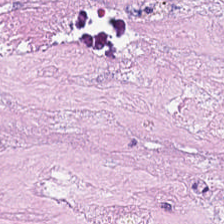Hematoxylin and eosin; brightfield microscopy. This field is necrotic debris.
